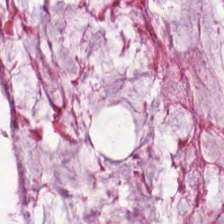H&E stain. Q: What is shown in this field?
A: This is extracellular mucin.
